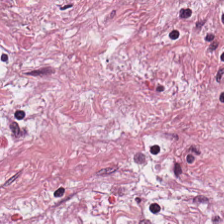H&E-stained tissue section showing cancer-associated stroma.
